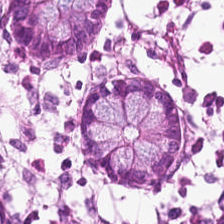H&E-stained tissue section — Showing benign colonic mucosa.
